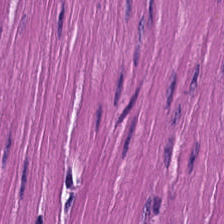FFPE tissue section; 224×224 pixel tile; hematoxylin and eosin — Tissue class: smooth muscle.
